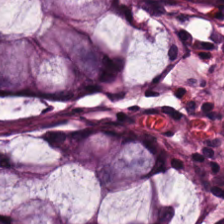H&E patch showing benign colonic mucosa.
